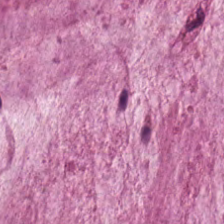The classification is mucus.
